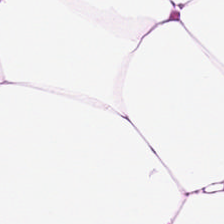Stain: H&E.
Acquisition: brightfield microscopy.
Resolution: 0.5 µm per pixel.
Tissue type: adipocytes.
